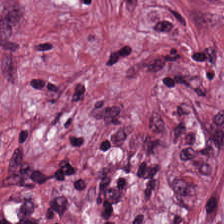H&E — {"tissue_type": "desmoplastic stroma"}
